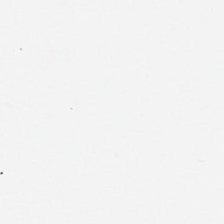Classification: background.
